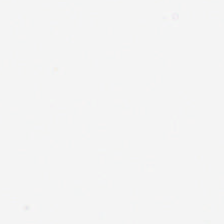Formalin-fixed paraffin-embedded section. Hematoxylin and eosin — Background (no tissue).
